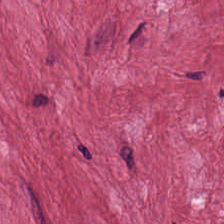H&E-stained tissue section. Brightfield — This field is desmoplastic stroma.
